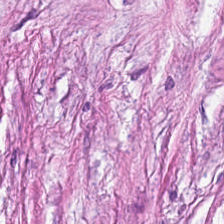H&E stain. Tissue: cancer-associated stroma.
